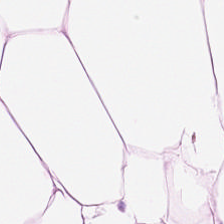Tissue — adipose tissue.
